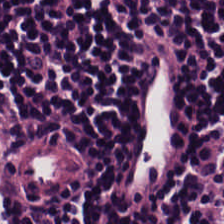H&E.
The predominant tissue is lymphocyte aggregate.
